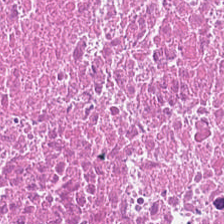H&E patch showing necrotic debris.
